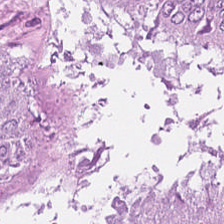Showing adenocarcinoma.
